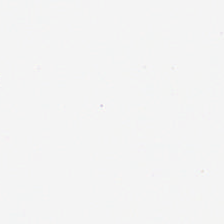H&E-stained tissue section; formalin-fixed paraffin-embedded section; 0.5 microns per pixel. Background.
